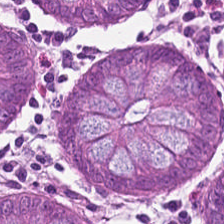Q: What is shown here?
A: Non-neoplastic colon mucosa.
